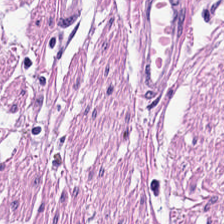H&E-stained tissue section · 20× equivalent magnification. Smooth-muscle tissue.
